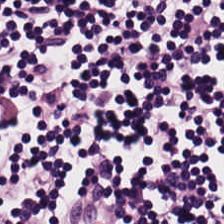H&E-stained section; the field shows lymphocytes.
